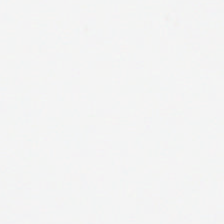H&E — Content = no tissue.
